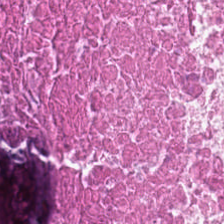Stain: H&E.
Tissue: necrotic debris.
